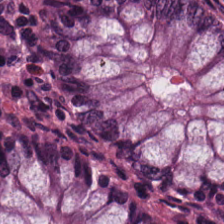The tissue type is normal colon mucosa.
